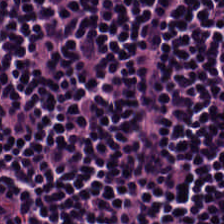Hematoxylin-and-eosin stained section — {"tissue_type": "lymphoid infiltrate"}
